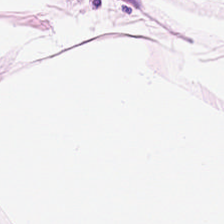Hematoxylin-and-eosin stained section.
This field is adipose.
